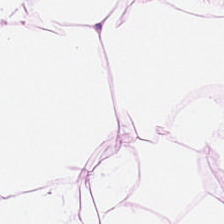0.5 µm/px; 224×224 px patch; H&E stain. Q: Identify the tissue.
A: The field shows adipose tissue.
